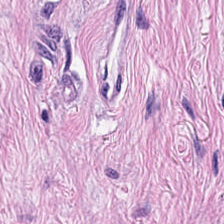H&E patch showing tumor-associated stroma.
